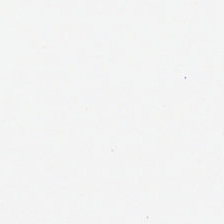FFPE tissue section; 224×224 px patch; H&E-stained tissue section — {"content": "no tissue"}
